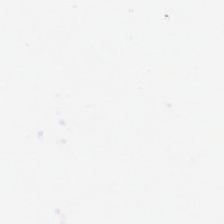Hematoxylin-and-eosin stained section. {"content": "no tissue"}
